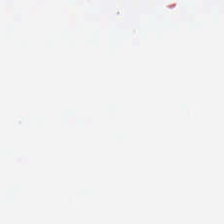H&E-stained tissue section — {"content": "empty background"}
